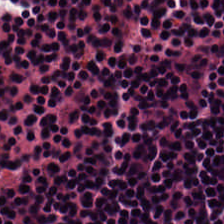Q: What type of tissue is this?
A: This is lymphocytic infiltrate.
